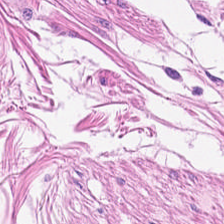Brightfield; 0.5 µm/px; hematoxylin and eosin — The predominant tissue is smooth muscle.
